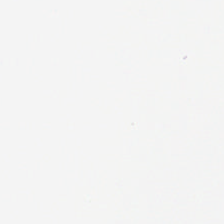Stain: H&E-stained tissue section.
Content: empty background.
